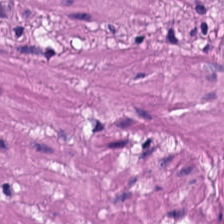Hematoxylin-and-eosin stained section.
This patch shows muscularis.
